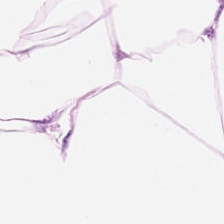H&E. 0.5 microns per pixel. Q: What is shown in this field?
A: Adipose tissue.
